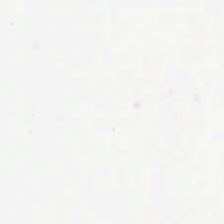H&E stain. 224×224 px tile — Finding → background.
